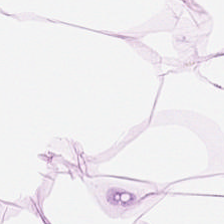H&E-stained tissue section.
Q: What does this patch show?
A: Adipose tissue.
